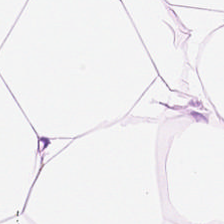Hematoxylin-and-eosin stained section — The tissue here is adipocytes.
